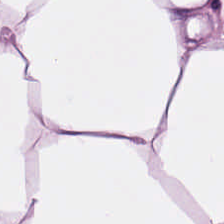Stain: H&E stain.
Preparation: FFPE.
Classification: adipocytes.
